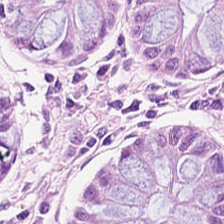Stain: hematoxylin and eosin.
Acquisition: whole-slide-image patch.
Classification: normal colonic mucosa.
